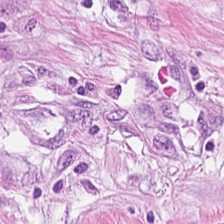Brightfield. Hematoxylin and eosin — Q: What is shown in this field?
A: It is desmoplastic stroma.
